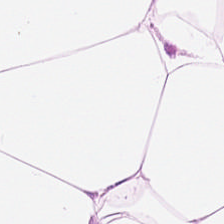Showing adipocytes.
